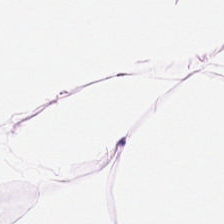Q: What tissue is shown?
A: This is fat tissue.
